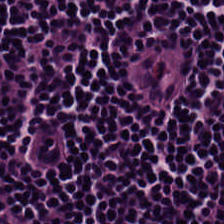Stain: H&E-stained tissue section.
Acquisition: brightfield.
Classification: lymphoid infiltrate.
